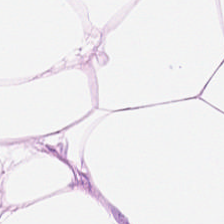H&E stain — Predominant tissue — adipocytes.
